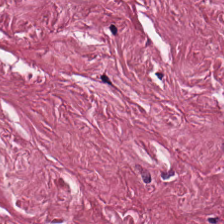H&E-stained tissue section. 224×224 px tile.
Q: Classify this patch.
A: This is desmoplastic stroma.
